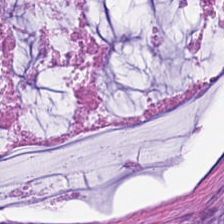Stain: hematoxylin and eosin.
Resolution: 20× equivalent magnification.
Tile size: 224×224 px patch.
Tissue: mucus.
